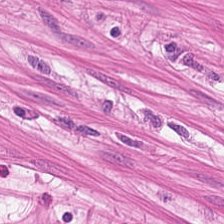Stain: hematoxylin-and-eosin stained section.
Preparation: FFPE.
Resolution: 0.5 microns per pixel.
Tissue: smooth-muscle tissue.
